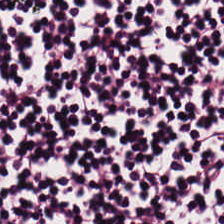Stain: H&E-stained tissue section.
Preparation: FFPE.
Tissue type: lymphocytic infiltrate.
